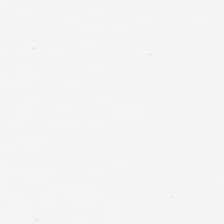Hematoxylin-and-eosin stained section.
No tissue.
